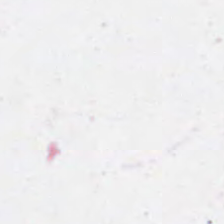H&E stain · 0.5 µm/px · brightfield microscopy. Histology → background.
